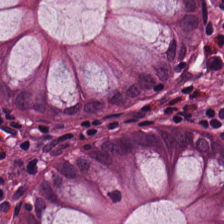Hematoxylin-and-eosin stained section.
Q: What is shown in this field?
A: The field shows benign colonic mucosa.
